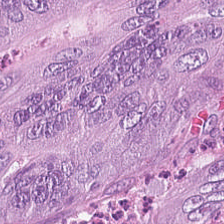Stain: hematoxylin-and-eosin stained section.
Resolution: 0.5 µm per pixel.
Predominant tissue: tumor epithelium.
